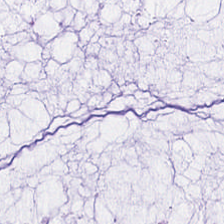H&E.
Predominantly mucin.
